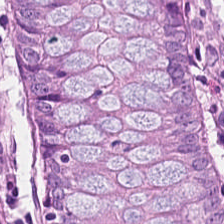This field is non-neoplastic colon mucosa.
